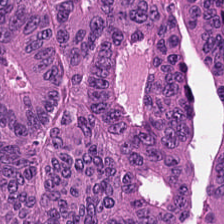H&E-stained tissue section. Histology → adenocarcinoma.
